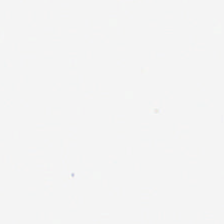Stain: H&E stain.
Preparation: FFPE.
Acquisition: brightfield microscopy.
Field content: no tissue.
